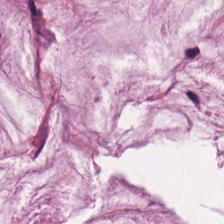H&E-stained tissue section · FFPE tissue section.
Q: What tissue is shown?
A: This is mucin.
